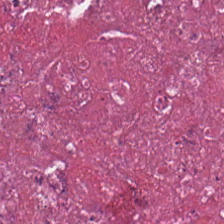FFPE tissue section; H&E.
The tissue here is cellular debris.
